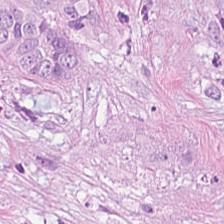Q: What is the predominant tissue type?
A: Colorectal adenocarcinoma epithelium.
